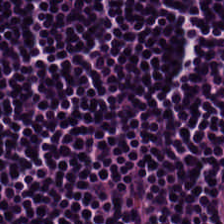H&E — Predominant tissue = lymphocytic infiltrate.
